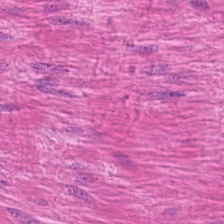Stain: H&E stain.
Tissue type: smooth muscle.
